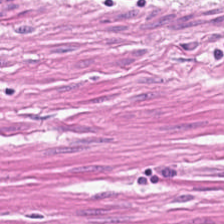Hematoxylin and eosin; formalin-fixed paraffin-embedded section. Showing smooth muscle.
